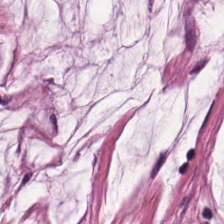H&E-stained tissue section. Tissue type = mucus.
